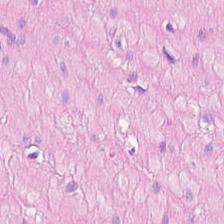224×224 px tile. Hematoxylin-and-eosin stained section. FFPE tissue section.
This patch shows smooth-muscle tissue.
